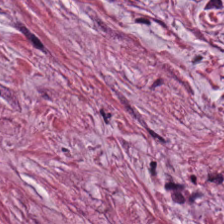Hematoxylin and eosin — Tissue — tumor stroma.
